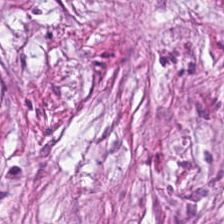Hematoxylin-and-eosin stained section.
Q: What is shown in this field?
A: This is tumor stroma.
